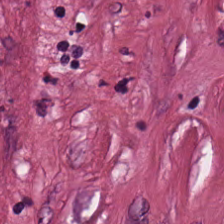224×224 px patch. Hematoxylin-and-eosin stained section — {"tissue_type": "cancer-associated stroma"}
